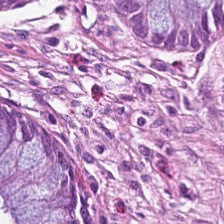0.5 microns per pixel · H&E.
Predominantly normal colon mucosa.
